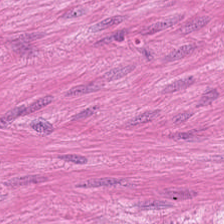H&E — Q: What is the predominant tissue type?
A: It is smooth-muscle tissue.
